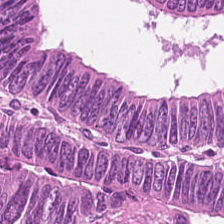Hematoxylin-and-eosin stained section; brightfield — Finding — colorectal adenocarcinoma.
